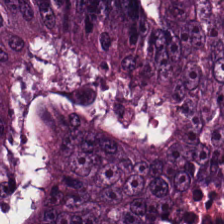Hematoxylin-and-eosin stained section. FFPE. 20× equivalent magnification. Tissue type: malignant epithelium.
